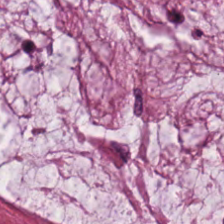Stain: H&E-stained tissue section.
Tissue: extracellular mucin.
